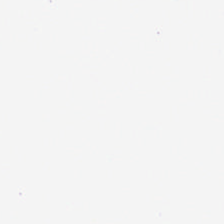H&E.
Finding — background.
